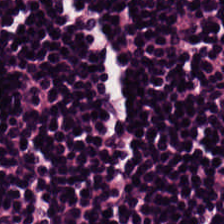224×224 px patch. Hematoxylin-and-eosin stained section. WSI patch. Q: What tissue is shown?
A: Lymphocytes.
